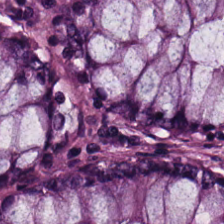Hematoxylin-and-eosin stained section — Predominantly normal colon mucosa.
